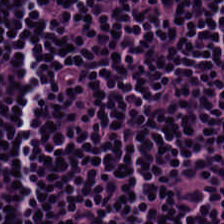Q: Identify the tissue.
A: Lymphocytic infiltrate.
